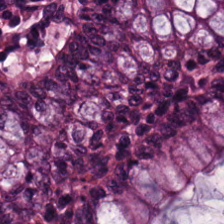Hematoxylin and eosin — {"tissue_type": "normal colon mucosa"}
